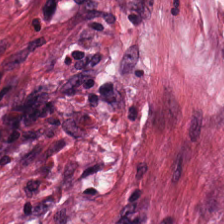The tissue class is tumor-associated stroma.
